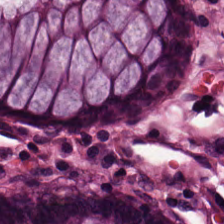Stain: H&E stain.
Acquisition: whole-slide-image patch.
Predominant tissue: normal colonic mucosa.
